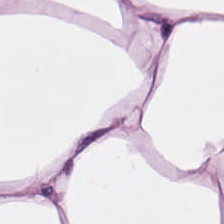H&E. 0.5 microns per pixel. This patch shows adipocytes.
